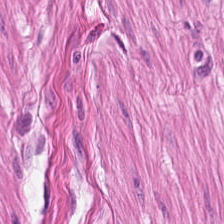Hematoxylin and eosin. 0.5 microns per pixel. Whole-slide-image patch — The predominant tissue is smooth-muscle tissue.
